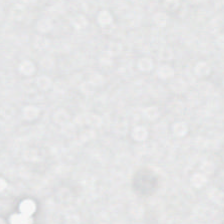H&E stain.
Q: Classify this patch.
A: This is background (no tissue).
